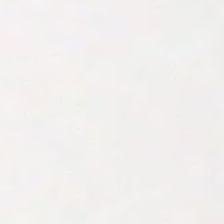H&E stain. Content — empty background.
